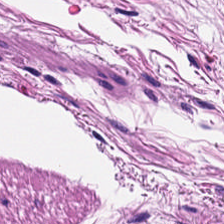H&E stain · 20× equivalent magnification.
Predominant tissue: smooth muscle.
